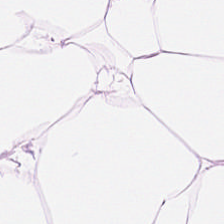Finding → adipose.
